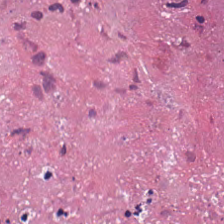The predominant tissue is cellular debris.
